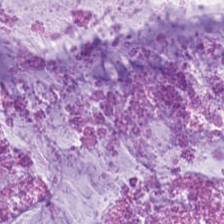Tissue class = extracellular mucin.
